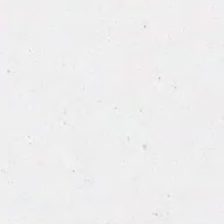H&E · 0.5 µm per pixel — Background — no tissue in this field.
